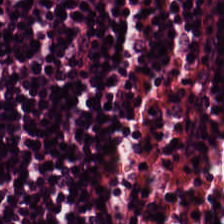H&E — Q: What is shown in this field?
A: It is lymphocytic infiltrate.
